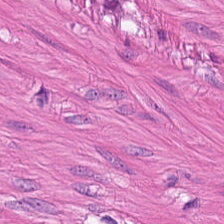H&E-stained tissue section showing muscularis.
